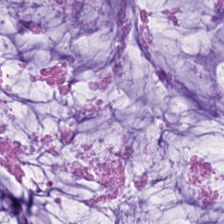H&E-stained tissue section.
Predominant tissue = mucin.
